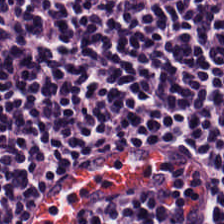Hematoxylin-and-eosin stained section.
Showing lymphocytic infiltrate.
